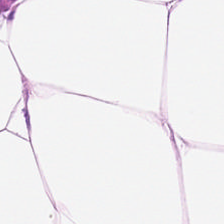224×224 px patch · H&E stain.
Q: What does this patch show?
A: It is adipose.
